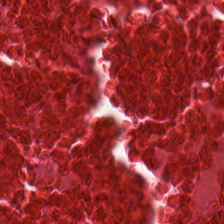Hematoxylin-and-eosin stained section.
This field is necrotic debris.
